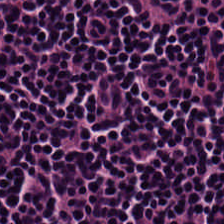The predominant tissue is lymphoid infiltrate.
